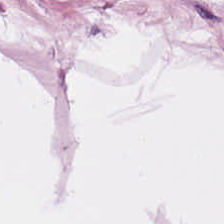H&E; FFPE.
This patch shows adipose.
